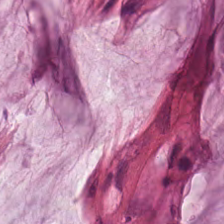0.5 µm/px; H&E; FFPE tissue section — Impression — mucin.
